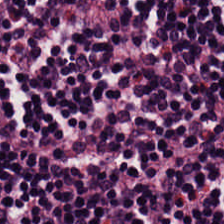Predominantly lymphocytic infiltrate.
